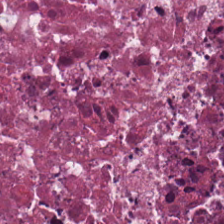Q: What is shown in this field?
A: Necrotic debris.
